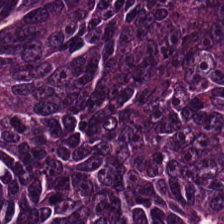Predominant tissue = colorectal adenocarcinoma epithelium.
